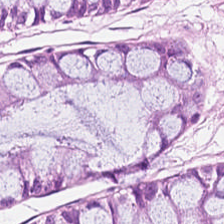224×224 px tile · brightfield · H&E stain.
Normal colon mucosa.
